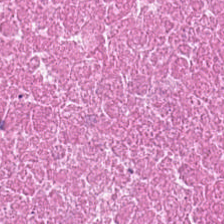FFPE tissue section. H&E stain. Q: What is the predominant tissue type?
A: It is necrotic debris.
